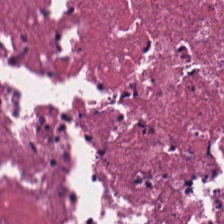Q: What type of tissue is this?
A: The field shows cellular debris.
